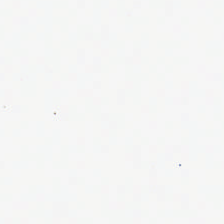Hematoxylin-and-eosin stained section.
No tissue present; background only.
